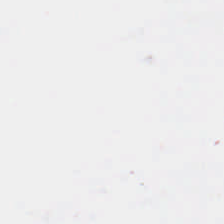FFPE; hematoxylin and eosin — Background — no tissue in this field.
